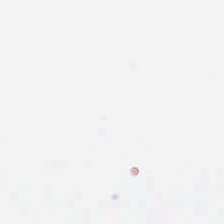H&E-stained tissue section.
Field content = background.
